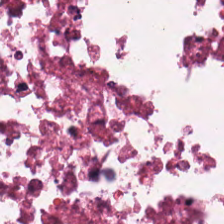H&E stain. This field is cellular debris.
